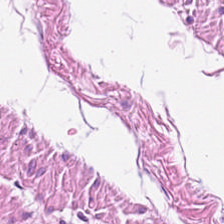Whole-slide-image patch; hematoxylin and eosin — The tissue type is smooth muscle.
